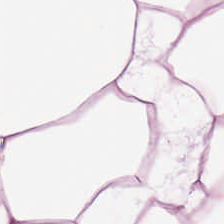H&E — adipocytes.
